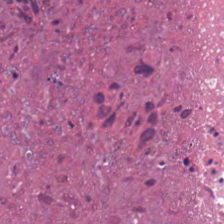H&E stain.
This patch shows debris.
